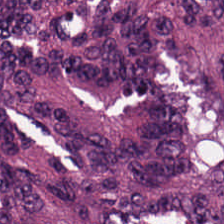224×224 px tile; H&E-stained tissue section; brightfield microscopy — Predominant tissue = colorectal adenocarcinoma.
